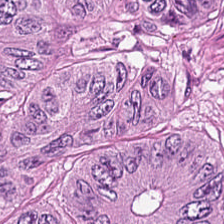Stain: H&E.
Preparation: FFPE tissue section.
Tile size: 224×224 px tile.
Tissue type: colorectal adenocarcinoma epithelium.
